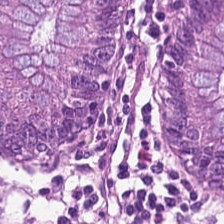H&E-stained tissue section. 0.5 µm per pixel — The tissue class is normal colonic mucosa.
